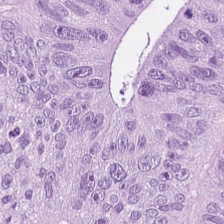H&E. Predominantly colorectal adenocarcinoma.
